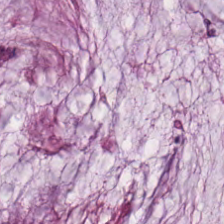FFPE tissue section; H&E stain — The predominant tissue is extracellular mucin.
